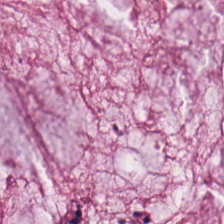224×224 pixel tile; H&E stain; 0.5 µm/px — The tissue is mucin.
